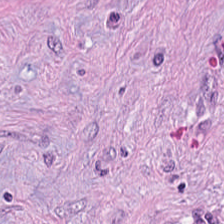H&E stain.
Histology — cancer-associated stroma.
